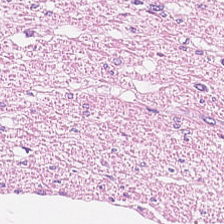Stain: hematoxylin and eosin.
Tissue: smooth muscle.
